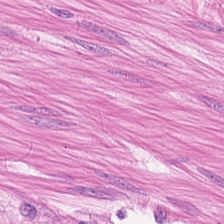Hematoxylin-and-eosin stained section — Tissue = smooth muscle.
